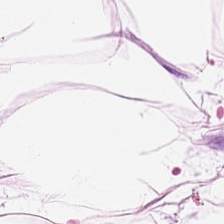Q: What is the predominant tissue type?
A: This is fat tissue.
